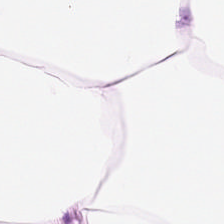H&E-stained tissue section; 224×224 pixel tile. Showing fat tissue.
